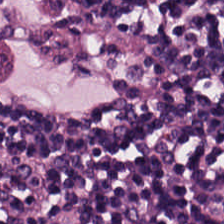H&E-stained tissue section.
The tissue here is lymphocytic infiltrate.
